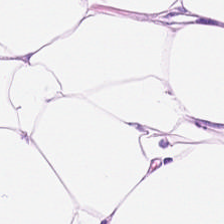224×224 px patch. H&E stain. Whole-slide-image patch. Q: What tissue is shown?
A: This is adipocytes.
